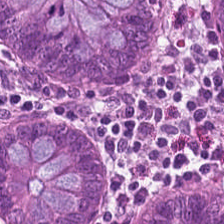Hematoxylin-and-eosin stained section. The predominant tissue is benign colonic mucosa.
